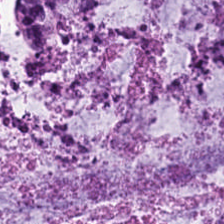The tissue here is extracellular mucin.
